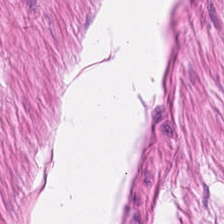Q: What is the predominant tissue type?
A: This is smooth muscle.
